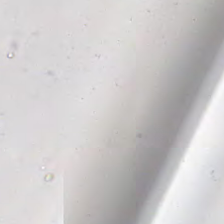Empty field — empty background.
